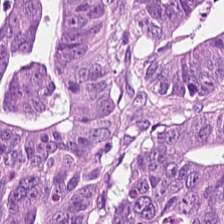H&E-stained tissue section. This patch shows colorectal adenocarcinoma epithelium.
